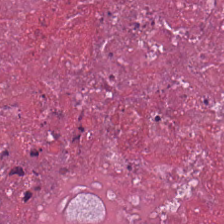Hematoxylin and eosin. Tissue class: cellular debris.
